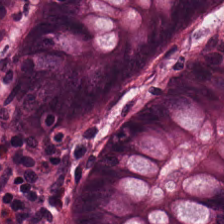H&E.
Impression — normal colonic mucosa.
